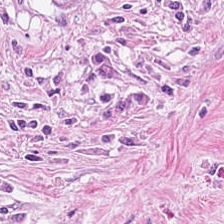H&E-stained tissue section. Q: What is shown here?
A: The field shows tumor-associated stroma.
